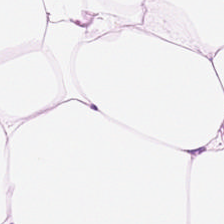Hematoxylin-and-eosin stained section — This patch shows adipocytes.
